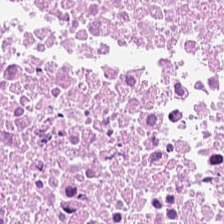H&E stain. Tissue class: necrotic debris.
